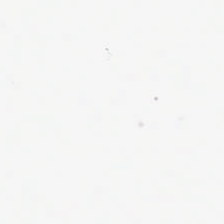Stain: hematoxylin-and-eosin stained section.
Resolution: 0.5 microns per pixel.
Field content: no tissue.
